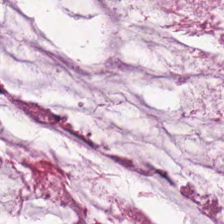Hematoxylin-and-eosin stained section — The tissue is mucus.
